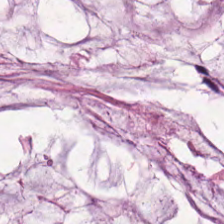20× equivalent magnification. Formalin-fixed paraffin-embedded section. H&E-stained tissue section.
Tissue type — extracellular mucin.
